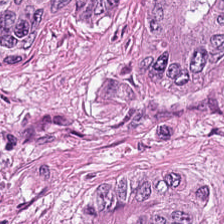H&E-stained tissue section. Q: Classify this patch.
A: The field shows colorectal adenocarcinoma epithelium.
